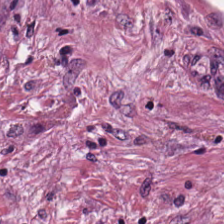FFPE. H&E stain. 224×224 px patch — The predominant tissue is tumor-associated stroma.
